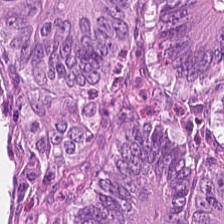H&E — Predominantly colorectal adenocarcinoma.
